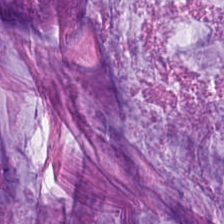224×224 px tile · hematoxylin-and-eosin stained section — Q: What does this patch show?
A: The field shows mucin.
